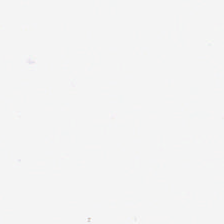Hematoxylin and eosin — The classification is background.
